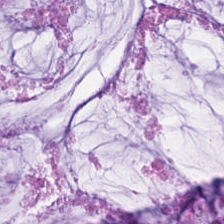H&E · FFPE — Tissue = extracellular mucin.
